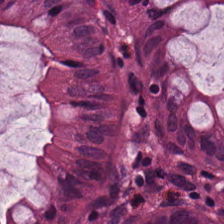Hematoxylin and eosin · FFPE · 0.5 µm per pixel — Classification: benign colonic mucosa.
